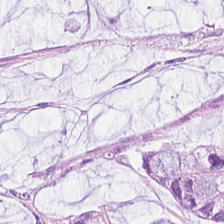Stain: H&E stain.
Tissue type: mucin.
